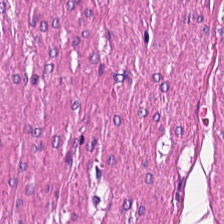Stain: H&E-stained tissue section.
Tile size: 224×224 px patch.
Predominant tissue: smooth-muscle tissue.
